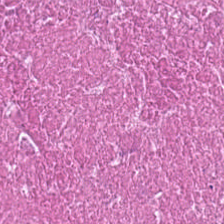Stain: H&E-stained tissue section.
Classification: cellular debris.
